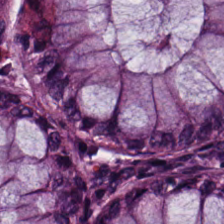Stain: H&E-stained tissue section.
Acquisition: whole-slide-image patch.
Tissue type: non-neoplastic colon mucosa.
